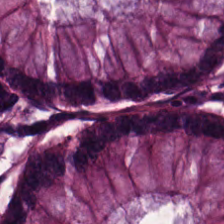Stain: H&E.
Classification: benign colonic mucosa.
